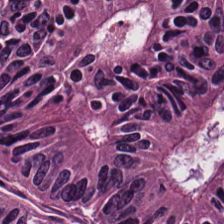H&E-stained tissue section — This field is adenocarcinoma.
